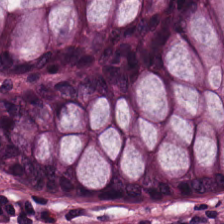Hematoxylin and eosin.
Classification: benign colonic mucosa.
